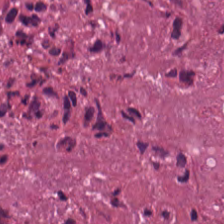Hematoxylin and eosin — The predominant tissue is debris.
